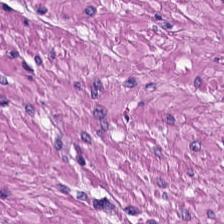FFPE; hematoxylin and eosin.
Showing smooth-muscle tissue.
